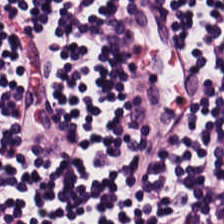H&E stain. The classification is lymphocytes.
